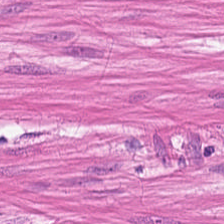Predominant tissue = muscularis.
